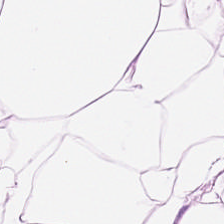Tissue: adipocytes.
